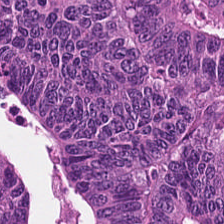H&E-stained tissue section — Q: What tissue type is shown here?
A: This is colorectal adenocarcinoma epithelium.
